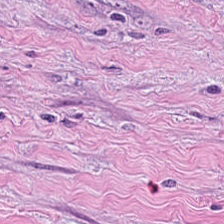H&E · brightfield microscopy.
The predominant tissue is tumor-associated stroma.
